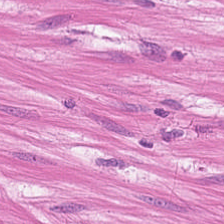{"tissue_type": "smooth-muscle tissue"}
